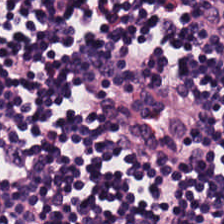The predominant tissue is lymphoid infiltrate.
